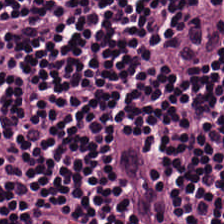Brightfield microscopy · hematoxylin and eosin · FFPE — Q: What does this patch show?
A: The field shows lymphocyte aggregate.
